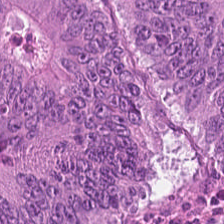H&E stain. Predominantly tumor epithelium.
